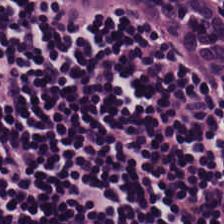Hematoxylin and eosin · 224×224 pixel tile.
This field is lymphocytes.
